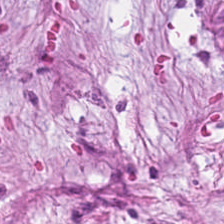Q: Classify this patch.
A: It is tumor stroma.
